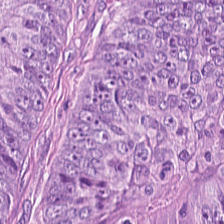Hematoxylin-and-eosin stained section. Malignant epithelium.
